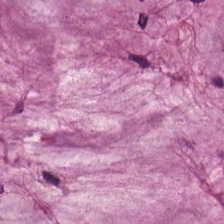FFPE tissue section · H&E. Q: What type of tissue is this?
A: It is extracellular mucin.
